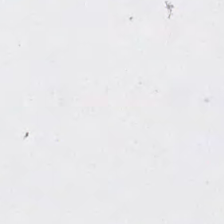H&E — The content is background (no tissue).
